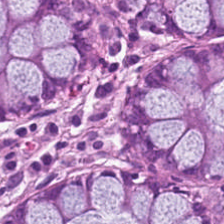H&E-stained tissue section; 224×224 px tile.
Predominantly normal colon mucosa.
